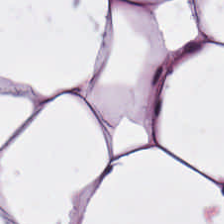H&E stain — Impression → adipose tissue.
